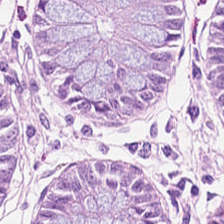This field is normal colon mucosa.
